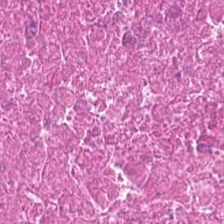Predominant tissue = cellular debris.
